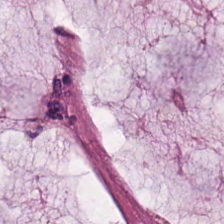Stain: H&E stain.
Tile size: 224×224 pixel tile.
Acquisition: whole-slide-image patch.
Tissue class: extracellular mucin.
